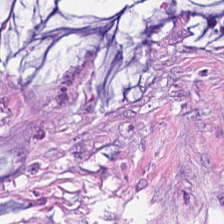{"tissue_type": "desmoplastic stroma"}
